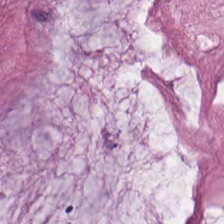H&E-stained tissue section — Tissue class — mucus.
